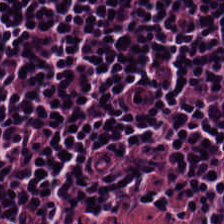This field is lymphocyte aggregate.
